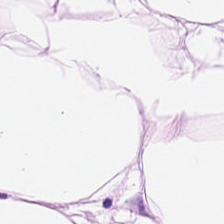H&E stain.
{"tissue_type": "fat tissue"}
